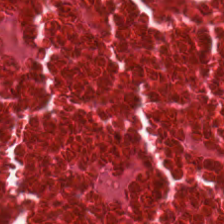H&E stain.
Tissue = cellular debris.
